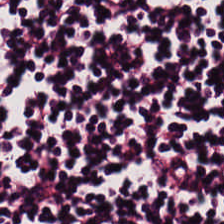H&E stain; FFPE.
The tissue class is lymphocytes.
